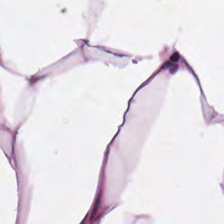Q: What does this patch show?
A: Fat tissue.
